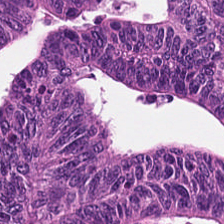224×224 pixel tile. Hematoxylin and eosin. 20× equivalent magnification — The predominant tissue is colorectal adenocarcinoma.
